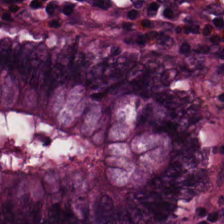224×224 pixel tile; H&E-stained tissue section — Q: What is shown in this field?
A: It is normal colonic mucosa.
